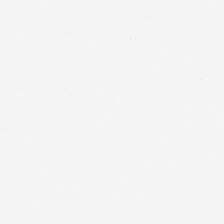H&E stain.
Content — background.
